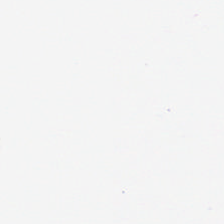H&E stain — Field content: no tissue.
